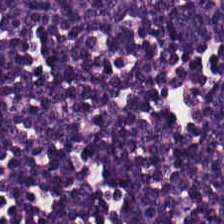H&E stain · FFPE. The predominant tissue is lymphoid infiltrate.
